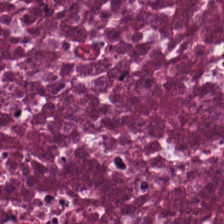Hematoxylin and eosin — The tissue class is debris.
